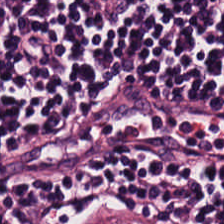H&E stain; 224×224 px tile.
Tissue class = lymphocytes.
